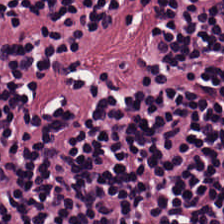Finding → lymphocytic infiltrate.
